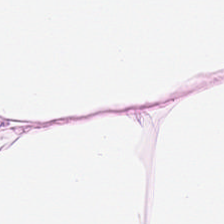Stain: H&E-stained tissue section.
Acquisition: WSI patch.
Tile size: 224×224 pixel tile.
Tissue: adipose tissue.
